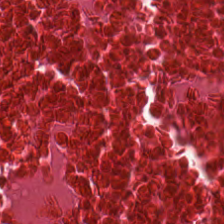Hematoxylin-and-eosin stained section — Q: What tissue is shown?
A: This is cellular debris.
